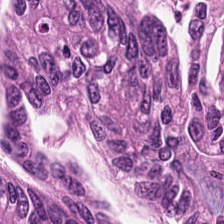Tissue — malignant epithelium.
